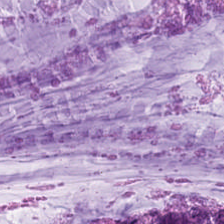Tissue type = mucin.
